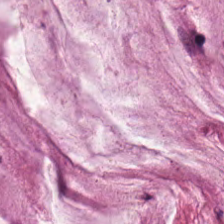FFPE · H&E. Histology → extracellular mucin.
